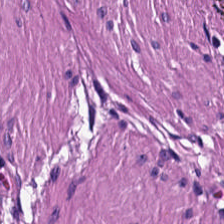FFPE; hematoxylin and eosin. Predominant tissue = smooth-muscle tissue.
